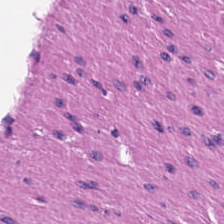H&E · 224×224 px patch · brightfield microscopy — Tissue type: muscularis.
